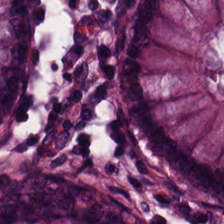H&E — The tissue here is normal colon mucosa.
